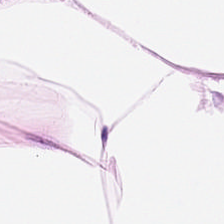Hematoxylin and eosin. Whole-slide-image patch — Impression — adipose tissue.
